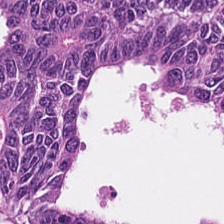20× equivalent magnification. H&E stain. Brightfield microscopy. Tissue = adenocarcinoma.
